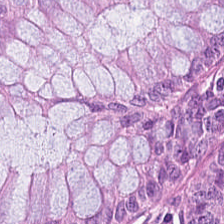H&E · brightfield microscopy. The classification is normal colonic mucosa.
